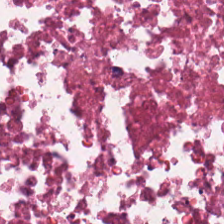H&E-stained tissue section · brightfield · 224×224 px patch.
Q: Classify this patch.
A: Necrotic debris.
